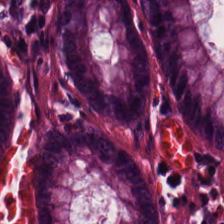H&E-stained tissue section. 224×224 px tile. Formalin-fixed paraffin-embedded section. Showing benign colonic mucosa.
